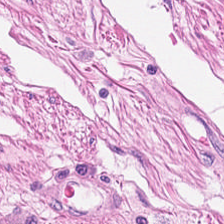Q: What type of tissue is this?
A: It is smooth muscle.
